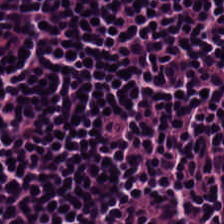224×224 px tile. 0.5 µm per pixel. Hematoxylin-and-eosin stained section.
Lymphocytes.
